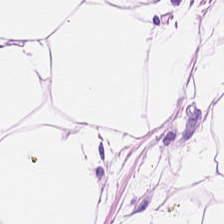Hematoxylin and eosin — Q: What is shown in this field?
A: It is fat tissue.
